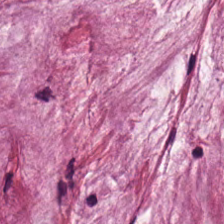H&E stain — Q: What tissue type is shown here?
A: It is extracellular mucin.
